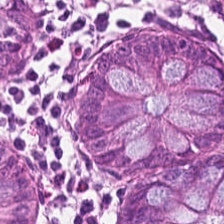Formalin-fixed paraffin-embedded section. Hematoxylin and eosin.
{"tissue_type": "benign colonic mucosa"}
